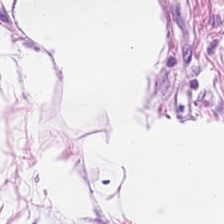H&E stain. 0.5 µm per pixel. The classification is adipocytes.
